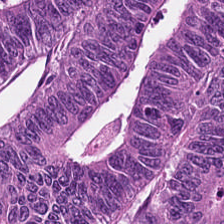H&E stain.
This patch shows colorectal adenocarcinoma epithelium.
